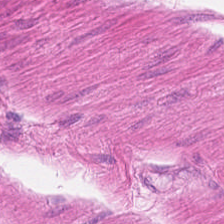{"tissue_type": "muscularis"}
